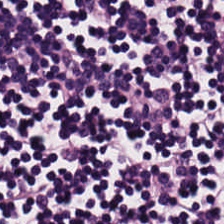Hematoxylin and eosin. Q: What does this patch show?
A: The field shows lymphoid infiltrate.
